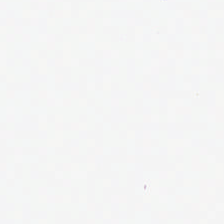Hematoxylin-and-eosin stained section.
The field content is background.
